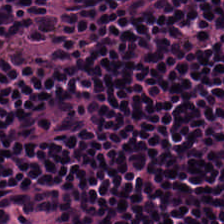Brightfield microscopy; 224×224 px patch; H&E stain.
Q: Classify this patch.
A: It is lymphoid infiltrate.
